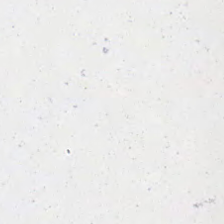Background.
